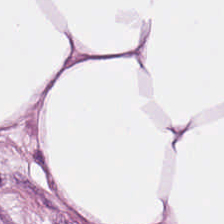224×224 px patch; H&E stain; whole-slide-image patch.
This patch shows adipose tissue.
